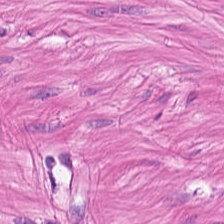H&E-stained tissue section.
{"tissue_type": "muscularis"}
